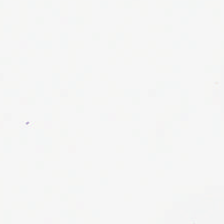H&E stain; 20× equivalent magnification. Q: What is shown here?
A: It is background (no tissue).
